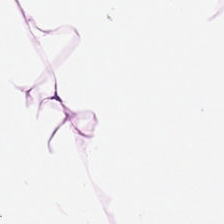Stain: H&E.
Acquisition: brightfield microscopy.
Resolution: 0.5 µm/px.
Tissue class: adipose.
